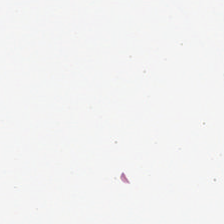Hematoxylin-and-eosin stained section — Background — no tissue in this field.
